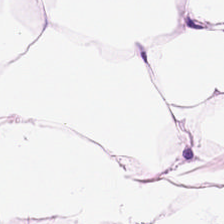This field is fat tissue.
